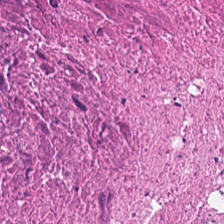Stain: H&E.
Predominant tissue: necrotic debris.
